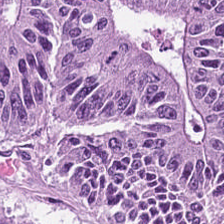Stain: hematoxylin and eosin.
Tissue: colorectal adenocarcinoma epithelium.
